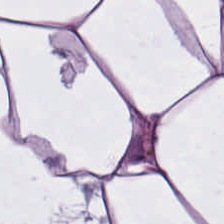Stain: H&E stain.
Tissue type: adipose tissue.
